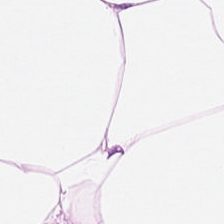H&E. The classification is adipocytes.
